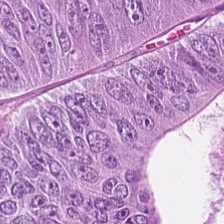Hematoxylin and eosin. This patch shows colorectal adenocarcinoma.
